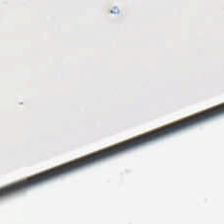Q: What does this patch show?
A: It is background (no tissue).
